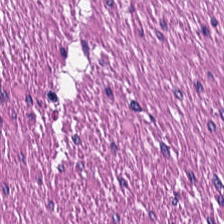Q: What tissue type is shown here?
A: This is smooth-muscle tissue.
